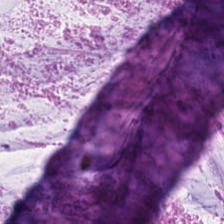H&E stain. Predominantly mucin.
